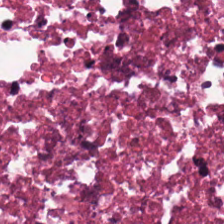Hematoxylin and eosin.
The tissue type is necrotic debris.
